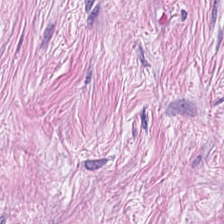224×224 px patch; H&E; FFPE. Tumor stroma.
